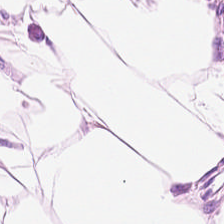Hematoxylin-and-eosin section: fat tissue.
